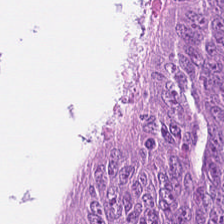Showing tumor epithelium.
